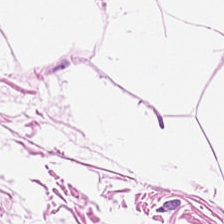Predominant tissue — adipose.
